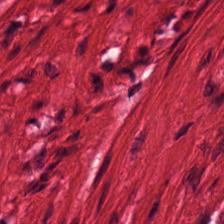FFPE; 0.5 microns per pixel; H&E.
The predominant tissue is smooth muscle.
